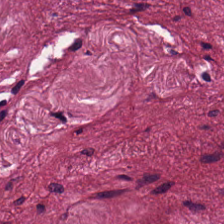Stain: H&E-stained tissue section.
Classification: tumor stroma.
